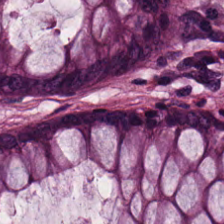The classification is normal colonic mucosa.
